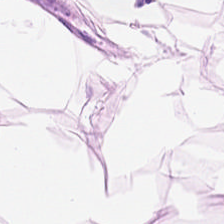H&E stain — Tissue class: fat tissue.
